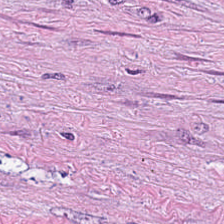Stain: hematoxylin-and-eosin stained section.
Resolution: 20× equivalent magnification.
Tissue type: tumor-associated stroma.
